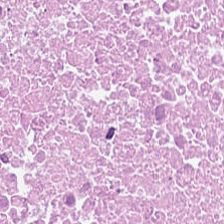Whole-slide-image patch; H&E-stained tissue section. Impression → debris.
